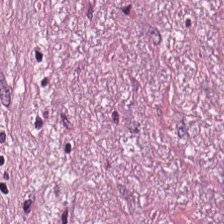H&E. Q: What tissue is shown?
A: Tumor-associated stroma.
